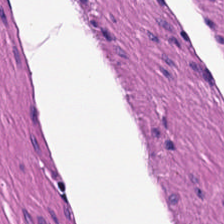Hematoxylin-and-eosin stained section.
Tissue class: smooth-muscle tissue.
